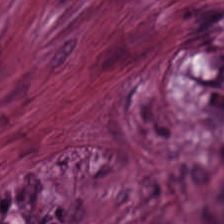Predominant tissue: desmoplastic stroma.
